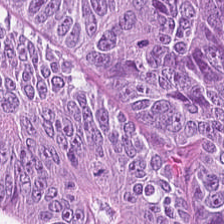Hematoxylin-and-eosin stained section; 224×224 px patch — Tissue type: tumor epithelium.
